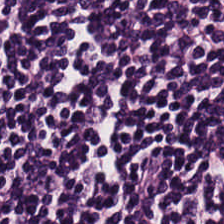Tissue: lymphocytes.
